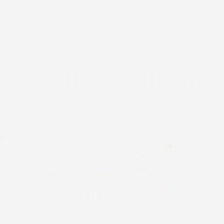H&E stain.
Classification — background (no tissue).
